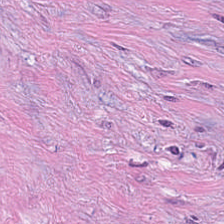Stain: H&E.
Predominant tissue: tumor stroma.
